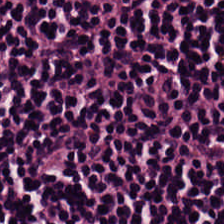H&E-stained tissue section.
Impression → lymphoid infiltrate.
